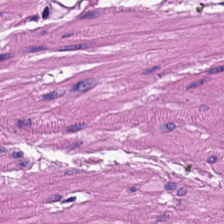FFPE tissue section; H&E-stained tissue section — Predominant tissue = smooth-muscle tissue.
